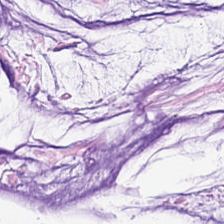Hematoxylin and eosin. Brightfield — This field is mucus.
